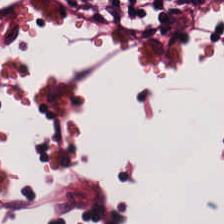Hematoxylin-and-eosin stained section — Tissue class — lymphoid infiltrate.
